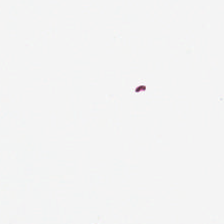Hematoxylin and eosin. 224×224 px patch. WSI patch.
Field content: no tissue.
